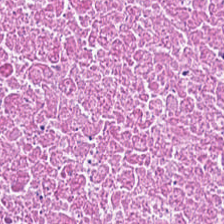Stain: H&E.
Tissue: necrotic debris.
